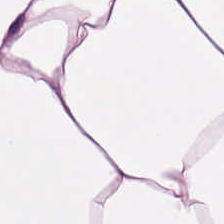Stain: hematoxylin-and-eosin stained section.
Tissue: fat tissue.
